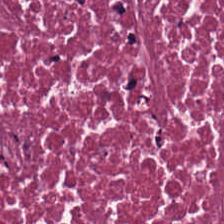Q: What is shown here?
A: Debris.
